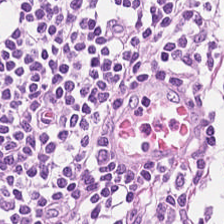H&E stain · formalin-fixed paraffin-embedded section — Lymphocytes.
